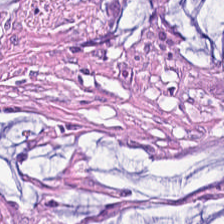H&E. Q: What tissue is shown?
A: Desmoplastic stroma.
